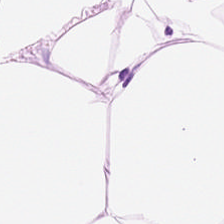FFPE. Hematoxylin and eosin — Q: Classify this patch.
A: This is adipose tissue.
